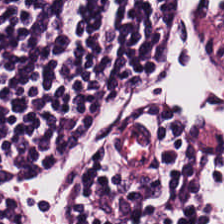H&E-stained tissue section. Brightfield microscopy. 0.5 µm per pixel. {"tissue_type": "lymphocytic infiltrate"}
